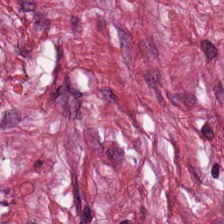Hematoxylin-and-eosin stained section; 0.5 µm per pixel.
Histology — cancer-associated stroma.
